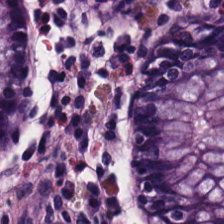The predominant tissue is normal colonic mucosa.
